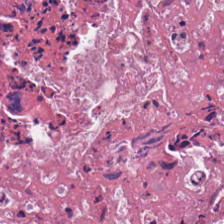Hematoxylin and eosin.
This patch shows necrotic debris.
